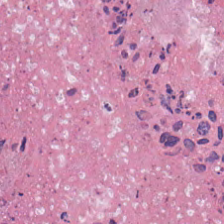0.5 microns per pixel. Hematoxylin-and-eosin stained section — This patch shows necrotic debris.
